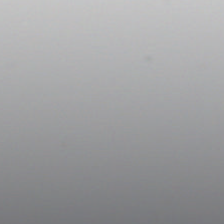H&E-stained tissue section; 0.5 µm per pixel.
Background — no tissue in this field.
